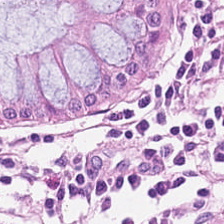H&E stain · brightfield microscopy · 20× equivalent magnification.
Non-neoplastic colon mucosa.
